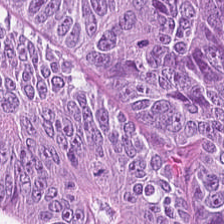Stain: H&E-stained tissue section.
Predominant tissue: tumor epithelium.
